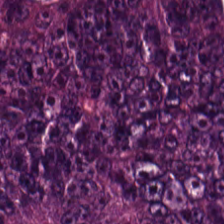H&E-stained tissue section — The predominant tissue is colorectal adenocarcinoma epithelium.
